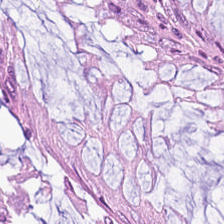H&E-stained section; the field shows benign colonic mucosa.
